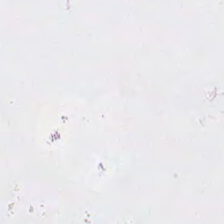20× equivalent magnification · 224×224 px patch · hematoxylin-and-eosin stained section — Classification — no tissue.
